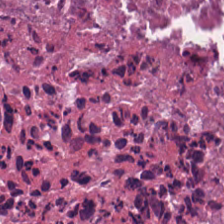H&E; 20× equivalent magnification.
Tissue class = cellular debris.
